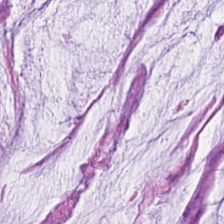Q: What tissue is shown?
A: This is mucus.
